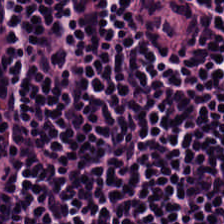Hematoxylin-and-eosin stained section; brightfield microscopy. This field is lymphoid infiltrate.
